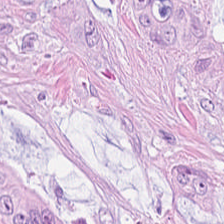Stain: H&E.
Resolution: 0.5 microns per pixel.
Preparation: formalin-fixed paraffin-embedded section.
Tissue: colorectal adenocarcinoma.
